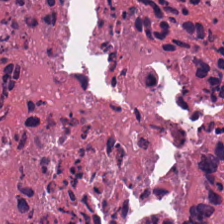H&E-stained tissue section — Classification = debris.
